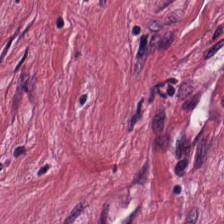Hematoxylin-and-eosin stained section.
Tissue — desmoplastic stroma.
